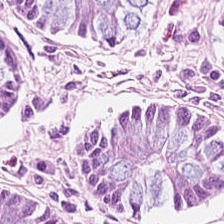Tissue class — normal colonic mucosa.
